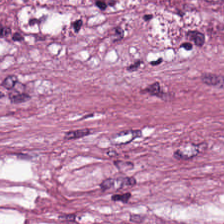Hematoxylin-and-eosin stained section. FFPE tissue section — The tissue here is tumor stroma.
